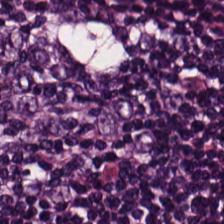Q: Classify this patch.
A: This is lymphocytes.
